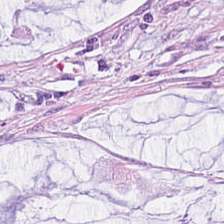Stain: hematoxylin and eosin.
Tissue: mucin.
